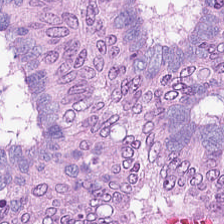Hematoxylin and eosin; 0.5 microns per pixel.
Histology → adenocarcinoma.
